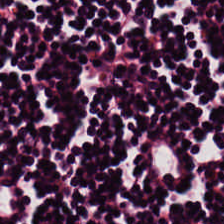This patch shows lymphocytes.
